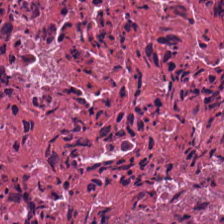H&E — Q: What is shown in this field?
A: This is cellular debris.
